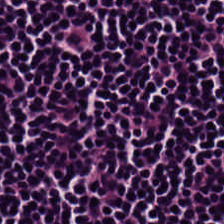H&E stain — Predominantly lymphocytes.
